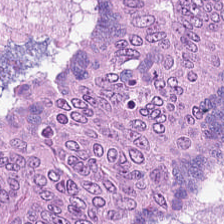H&E.
The tissue here is adenocarcinoma.
